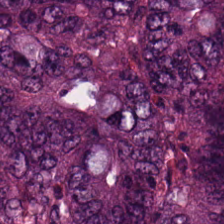H&E stain. Q: What is shown in this field?
A: Adenocarcinoma.
